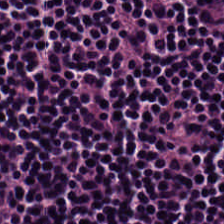H&E-stained tissue section — Classification = lymphocytic infiltrate.
